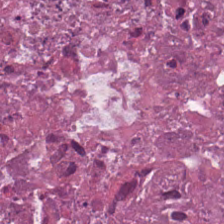This patch shows cellular debris.
